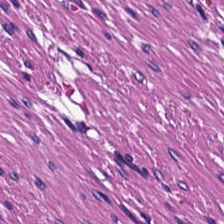H&E stain.
Smooth-muscle tissue.
